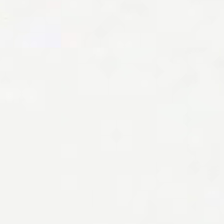Q: What does this patch show?
A: This is no tissue.
